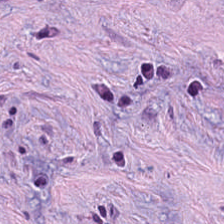The classification is tumor-associated stroma.
